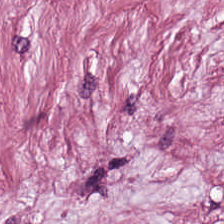H&E-stained tissue section; 0.5 microns per pixel; 224×224 px tile.
The tissue here is cancer-associated stroma.
